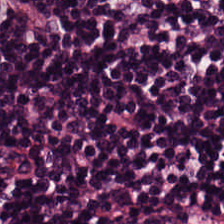224×224 pixel tile. Hematoxylin-and-eosin stained section.
Predominantly lymphocytic infiltrate.
